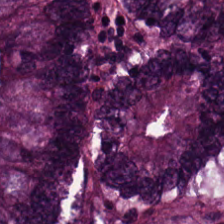H&E. FFPE — Q: Identify the tissue.
A: The field shows colorectal adenocarcinoma.
